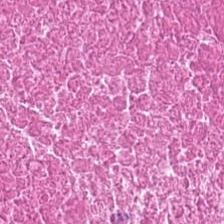0.5 µm per pixel; hematoxylin and eosin — Predominant tissue — necrotic debris.
